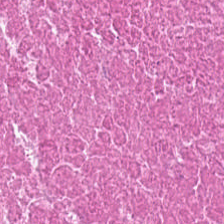H&E. Necrotic debris.
